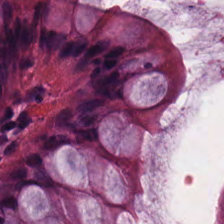Stain: hematoxylin-and-eosin stained section.
Classification: non-neoplastic colon mucosa.
